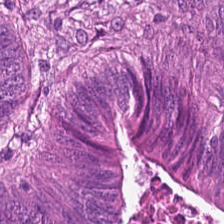Stain: H&E stain.
Acquisition: WSI patch.
Classification: adenocarcinoma.
